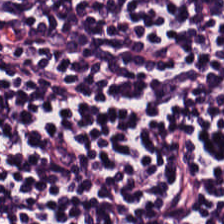H&E-stained tissue section.
This field is lymphoid infiltrate.
